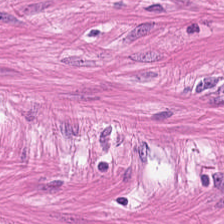Formalin-fixed paraffin-embedded section; hematoxylin-and-eosin stained section — Q: What does this patch show?
A: Smooth-muscle tissue.
